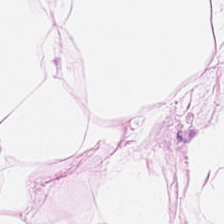H&E stain · 224×224 px patch · FFPE.
Tissue = adipose.
